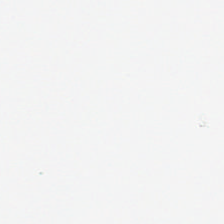0.5 µm per pixel. Hematoxylin and eosin — Content: empty background.
